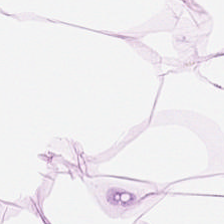Hematoxylin-and-eosin stained section.
Tissue = adipocytes.
